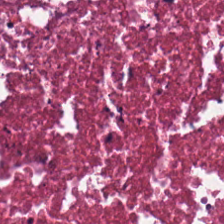Q: What is shown here?
A: The field shows cellular debris.
